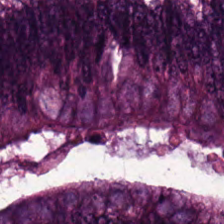224×224 px tile. H&E.
The tissue is adenocarcinoma.
